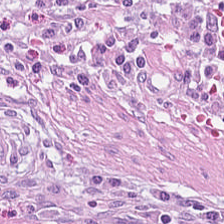Stain: hematoxylin-and-eosin stained section.
Tissue class: desmoplastic stroma.
